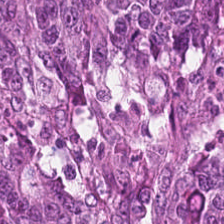Predominant tissue: colorectal adenocarcinoma epithelium.
